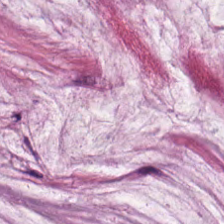H&E. This patch shows mucus.
